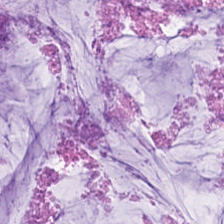The classification is mucus.
